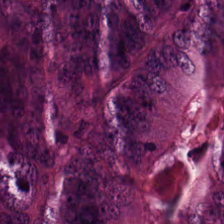Tissue class — tumor epithelium.
